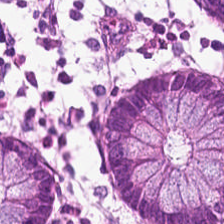Hematoxylin and eosin. Normal colonic mucosa.
